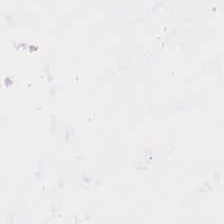Stain: hematoxylin and eosin.
Resolution: 20× equivalent magnification.
Classification: background.
